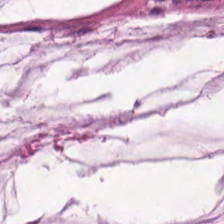Predominant tissue: mucus.
